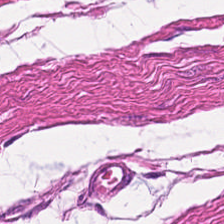H&E. Classification: muscularis.
